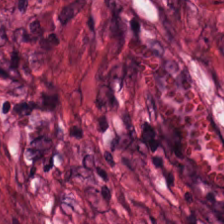The tissue here is desmoplastic stroma.
